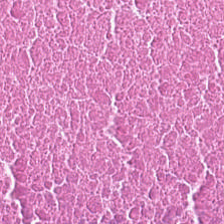Hematoxylin-and-eosin stained section — This patch shows necrotic debris.
